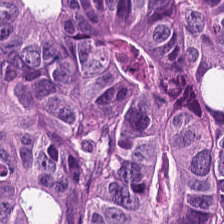Colorectal adenocarcinoma.
